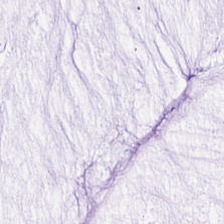H&E — extracellular mucin.
